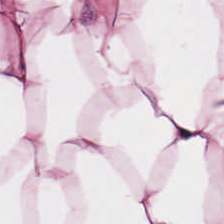0.5 µm/px; H&E stain — Q: What is the predominant tissue type?
A: This is adipose tissue.
